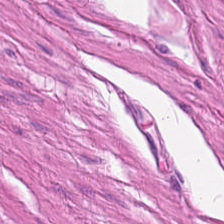Stain: hematoxylin-and-eosin stained section.
Tissue: smooth-muscle tissue.
